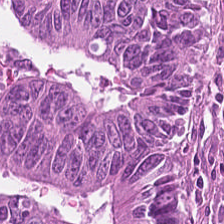Stain: H&E-stained tissue section.
Tissue type: colorectal adenocarcinoma.
